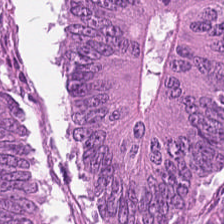Formalin-fixed paraffin-embedded section · hematoxylin and eosin · 224×224 pixel tile — Predominantly tumor epithelium.
